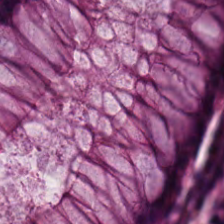H&E-stained tissue section; formalin-fixed paraffin-embedded section. The predominant tissue is non-neoplastic colon mucosa.
